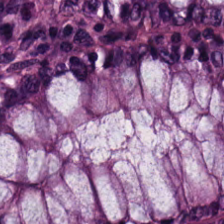The tissue type is benign colonic mucosa.
